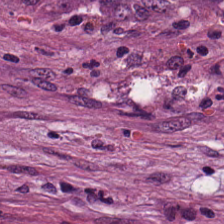Q: What does this patch show?
A: The field shows cancer-associated stroma.
